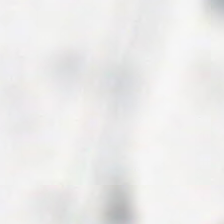0.5 µm per pixel · 224×224 px patch · H&E-stained tissue section.
Q: What is shown here?
A: The field shows no tissue.
